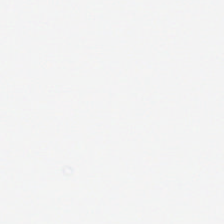This patch shows empty background.
